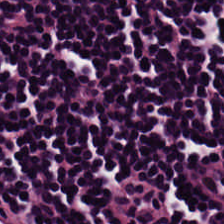Stain: H&E stain.
Acquisition: WSI patch.
Resolution: 0.5 µm/px.
Tissue: lymphocyte aggregate.
